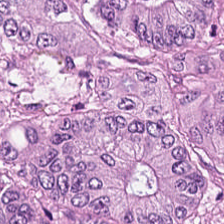H&E — malignant epithelium.
